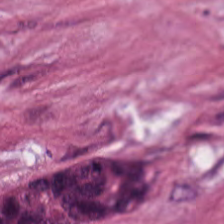Hematoxylin and eosin. Tissue — cancer-associated stroma.
